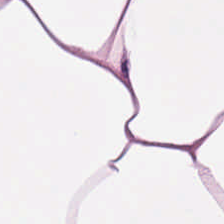Hematoxylin and eosin; 224×224 px patch. Classification = adipocytes.
